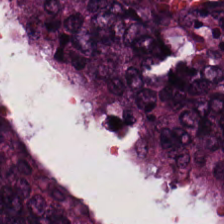Hematoxylin-and-eosin stained section. Q: What is shown here?
A: Adenocarcinoma.
